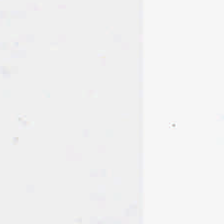Stain: H&E-stained tissue section.
Field content: no tissue.
